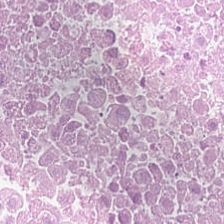Stain: H&E-stained tissue section.
Tissue type: necrotic debris.
